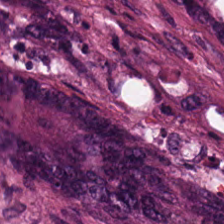Stain: H&E-stained tissue section.
Predominant tissue: adenocarcinoma.
